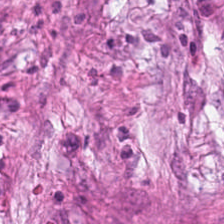H&E.
Finding — tumor-associated stroma.
